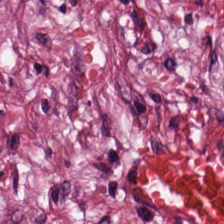H&E-stained section; the field shows tumor-associated stroma.
